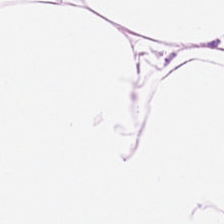Impression — adipose.
